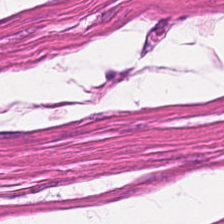Q: What does this patch show?
A: The field shows smooth muscle.
